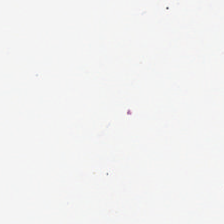H&E stain.
Content — empty background.
